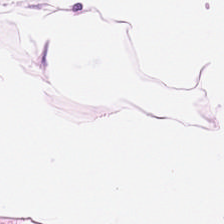Classification: fat tissue.
